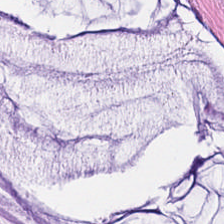Hematoxylin-and-eosin stained section.
Tissue class — mucin.
